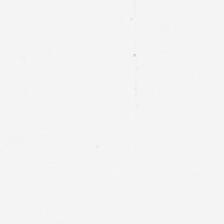H&E — Classification: empty background.
